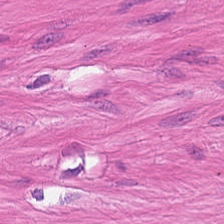0.5 µm per pixel. H&E stain — Smooth-muscle tissue.
